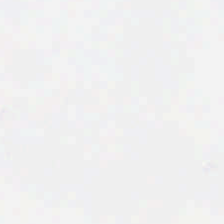FFPE · H&E — Q: What is shown here?
A: The field shows no tissue.
